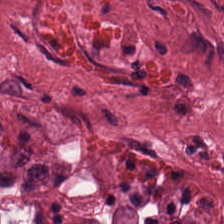Whole-slide-image patch · H&E · 20× equivalent magnification — Q: What type of tissue is this?
A: This is desmoplastic stroma.
